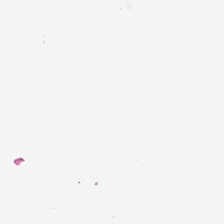H&E — Background (no tissue).
